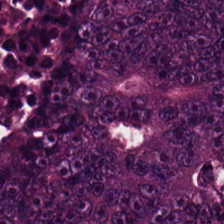Tissue class — tumor epithelium.
